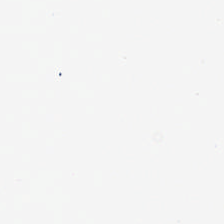224×224 pixel tile · FFPE · H&E stain. Impression — no tissue.
